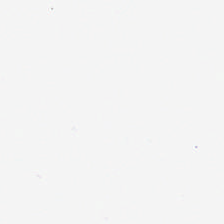Stain: hematoxylin-and-eosin stained section.
Classification: no tissue.
